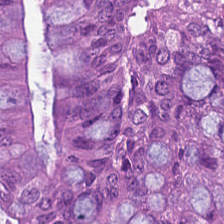FFPE tissue section; H&E-stained tissue section.
The tissue here is malignant epithelium.
